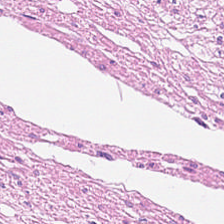Q: What is the predominant tissue type?
A: It is muscularis.
